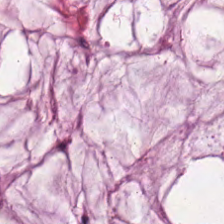Classification = mucus.
